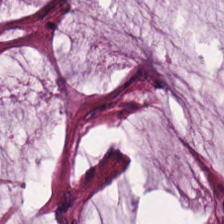Brightfield microscopy · formalin-fixed paraffin-embedded section · H&E stain — Impression — mucus.
